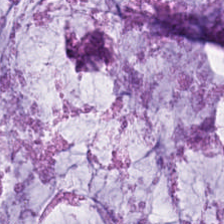Finding — mucus.
